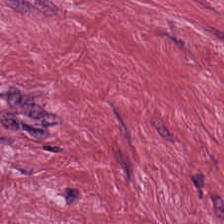0.5 µm per pixel; H&E stain; 224×224 px tile. This patch shows desmoplastic stroma.
